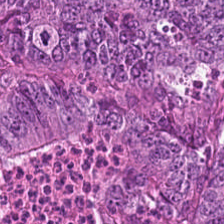Brightfield. Hematoxylin and eosin. Formalin-fixed paraffin-embedded section — Predominantly colorectal adenocarcinoma epithelium.
